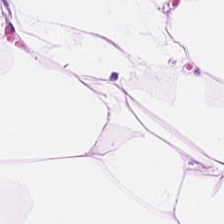0.5 µm per pixel. H&E-stained tissue section. Predominant tissue: adipose tissue.
